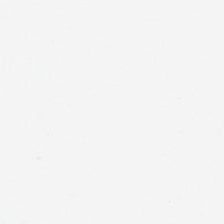H&E. Classification = no tissue.
